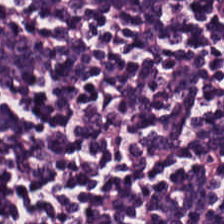H&E.
Q: What type of tissue is this?
A: It is lymphocytic infiltrate.
